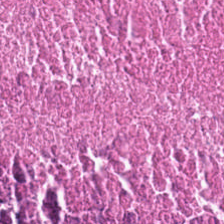H&E — This field is debris.
